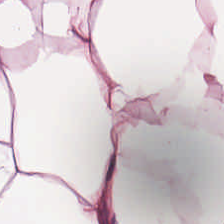Hematoxylin-and-eosin stained section. Predominantly adipose.
